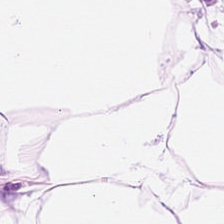Hematoxylin-and-eosin stained section. Predominant tissue — adipose.
